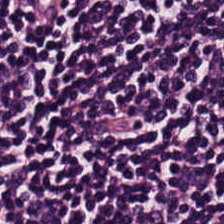H&E stain — Tissue type: lymphocyte aggregate.
